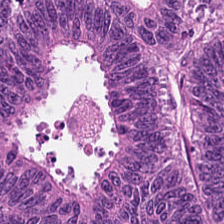Stain: hematoxylin-and-eosin stained section.
Predominant tissue: malignant epithelium.
